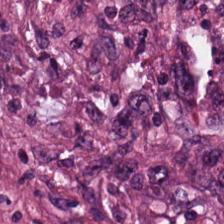H&E-stained tissue section.
{"tissue_type": "tumor stroma"}
